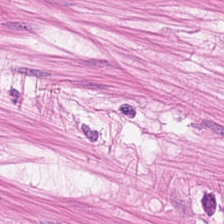Tissue class — smooth muscle.
